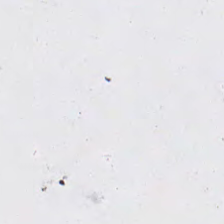Finding → no tissue.
